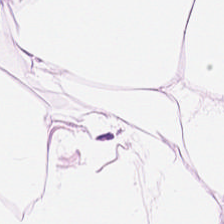H&E. Showing fat tissue.
